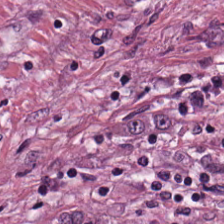H&E. {"tissue_type": "tumor stroma"}
